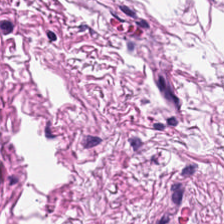Hematoxylin-and-eosin stained section. Muscularis.
